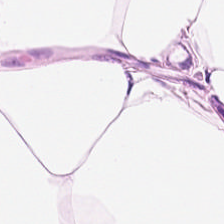Finding — adipose.
